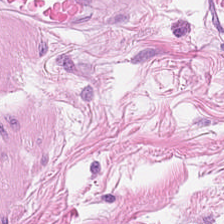Stain: hematoxylin and eosin.
Tissue: muscularis.
